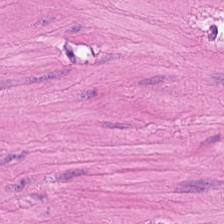H&E.
Impression → smooth muscle.
